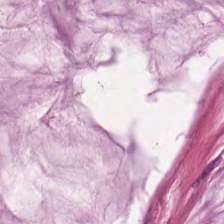Hematoxylin and eosin · formalin-fixed paraffin-embedded section · 0.5 microns per pixel. Showing mucin.
